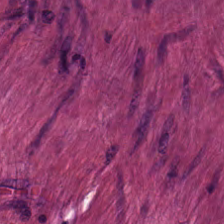H&E — Predominant tissue — muscularis.
